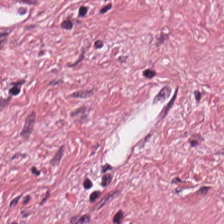H&E. Q: What tissue type is shown here?
A: It is cancer-associated stroma.
